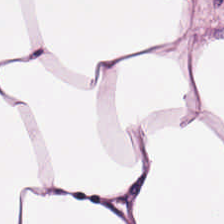H&E · WSI patch · FFPE. {"tissue_type": "adipose tissue"}
